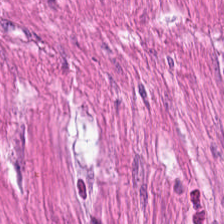Q: What is shown in this field?
A: This is smooth muscle.
